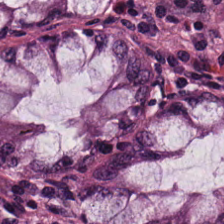Hematoxylin-and-eosin stained section. The predominant tissue is normal colonic mucosa.
